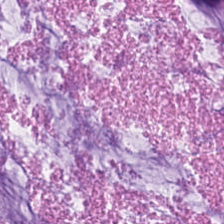H&E — mucin.
